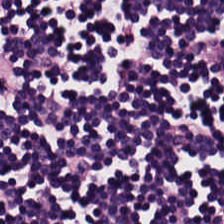Stain: H&E.
Preparation: FFPE tissue section.
Resolution: 0.5 µm per pixel.
Predominant tissue: lymphocyte aggregate.
